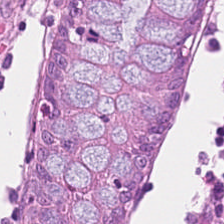Tissue type: non-neoplastic colon mucosa.
